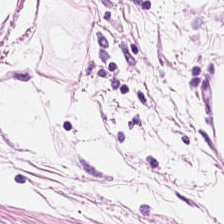Stain: H&E.
Predominant tissue: fat tissue.
